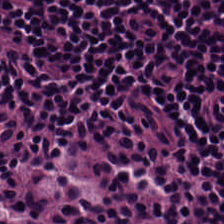H&E stain — Impression → lymphocytic infiltrate.
